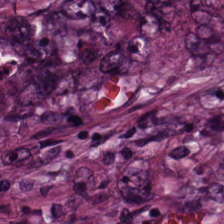This patch shows adenocarcinoma.
